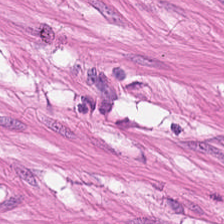Stain: H&E stain.
Tissue type: smooth-muscle tissue.
